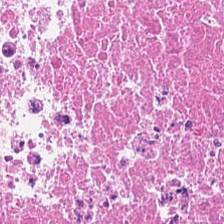224×224 px tile · FFPE tissue section · H&E stain. Q: Identify the tissue.
A: Cellular debris.
